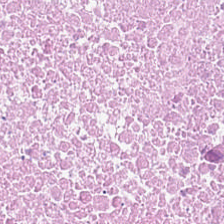H&E-stained tissue section.
Showing debris.
